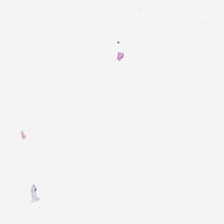Background (no tissue).
